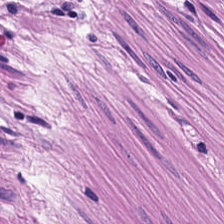H&E-stained tissue section showing muscularis.
